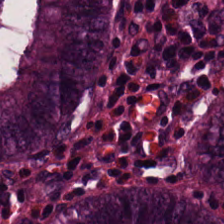Stain: H&E stain.
Preparation: FFPE.
Predominant tissue: normal colon mucosa.
